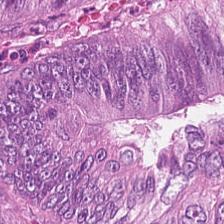This patch shows colorectal adenocarcinoma epithelium.
